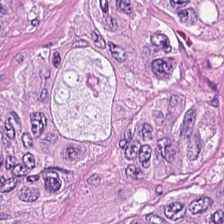Q: What is shown here?
A: Adenocarcinoma.
